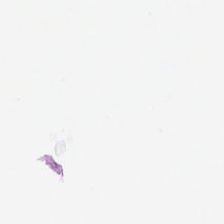H&E-stained tissue section. The classification is no tissue.
